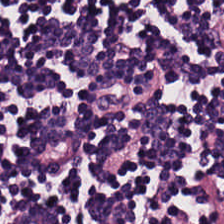Brightfield; hematoxylin and eosin; 0.5 µm per pixel. Q: Identify the tissue.
A: This is lymphocyte aggregate.
